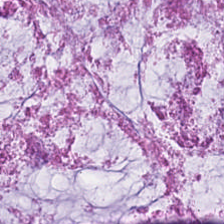Hematoxylin-and-eosin stained section — Finding — extracellular mucin.
